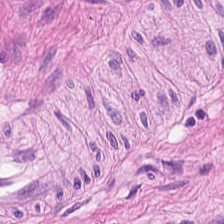Q: What tissue type is shown here?
A: Smooth-muscle tissue.
